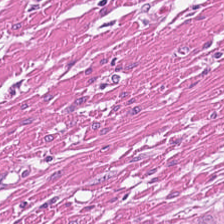Q: What type of tissue is this?
A: This is smooth muscle.
